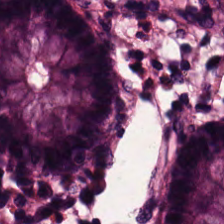The predominant tissue is non-neoplastic colon mucosa.
